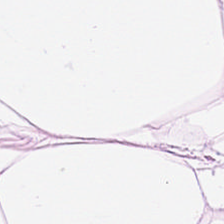WSI patch. Formalin-fixed paraffin-embedded section. H&E-stained tissue section. Predominant tissue — adipose tissue.
